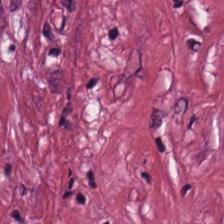Brightfield microscopy; H&E. {"tissue_type": "desmoplastic stroma"}
